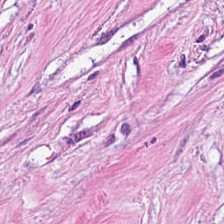Brightfield microscopy · 0.5 microns per pixel · H&E stain.
Cancer-associated stroma.
